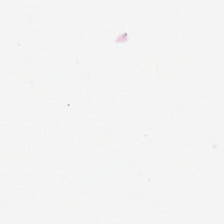224×224 pixel tile · H&E-stained tissue section · 0.5 µm per pixel — Background — no tissue in this field.
